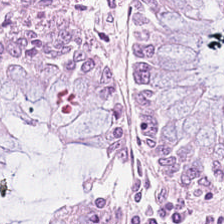H&E stain — Predominant tissue = non-neoplastic colon mucosa.
